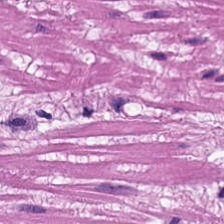H&E-stained tissue section. FFPE tissue section. Brightfield microscopy.
{"tissue_type": "smooth-muscle tissue"}
